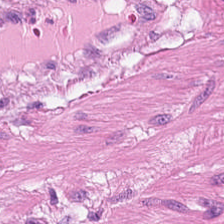0.5 µm per pixel. FFPE tissue section. H&E. Q: What does this patch show?
A: The field shows muscularis.
